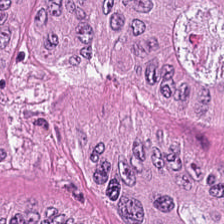Hematoxylin and eosin. Tissue — colorectal adenocarcinoma epithelium.
